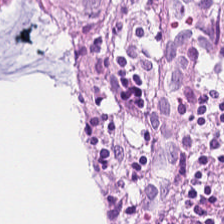Hematoxylin-and-eosin stained section. Classification = benign colonic mucosa.
